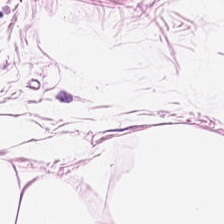H&E. Showing adipose tissue.
